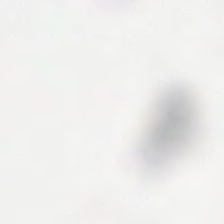0.5 µm per pixel. H&E-stained tissue section. 224×224 pixel tile — This patch shows background (no tissue).
